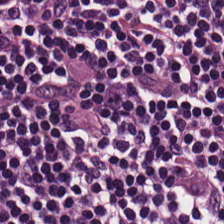H&E — Q: What tissue is shown?
A: The field shows lymphocytic infiltrate.
